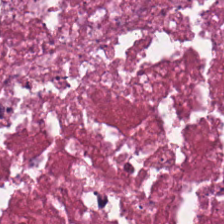Hematoxylin-and-eosin stained section — This field is debris.
